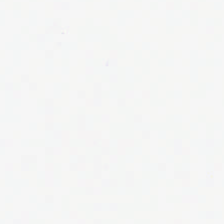Hematoxylin and eosin; formalin-fixed paraffin-embedded section — This patch shows background (no tissue).
